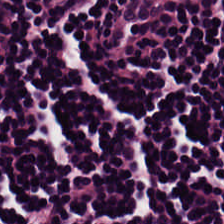H&E-stained tissue section — The tissue is lymphocyte aggregate.
